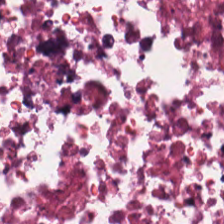Brightfield. H&E — Histology — necrotic debris.
